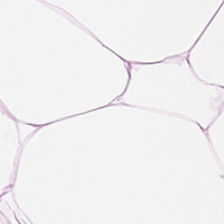Hematoxylin-and-eosin stained section.
Finding — adipocytes.
